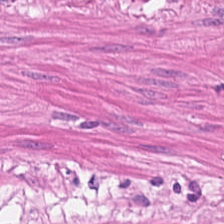H&E patch showing smooth muscle.
